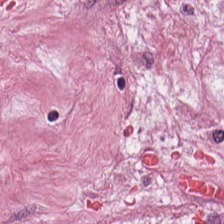H&E stain.
The tissue class is cancer-associated stroma.
